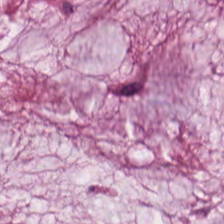H&E stain. Q: What is shown in this field?
A: The field shows mucin.
